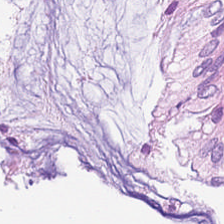H&E — Finding — normal colonic mucosa.
